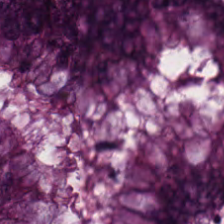Stain: H&E stain.
Classification: non-neoplastic colon mucosa.
